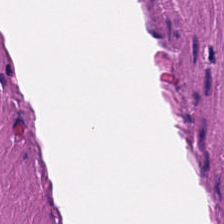Stain: hematoxylin-and-eosin stained section.
Resolution: 0.5 microns per pixel.
Tile size: 224×224 px tile.
Tissue type: smooth muscle.
